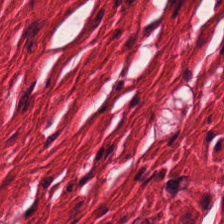Tissue type = muscularis.
